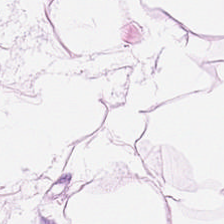Finding → adipocytes.
